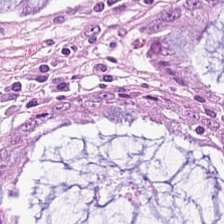H&E-stained tissue section. Tissue = normal colon mucosa.
